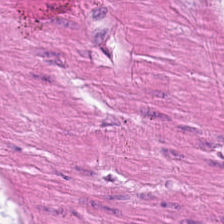FFPE; brightfield; H&E-stained tissue section — Predominantly smooth-muscle tissue.
